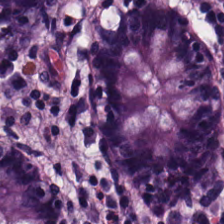H&E-stained tissue section.
Tissue = non-neoplastic colon mucosa.
